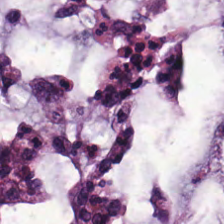224×224 px patch. Hematoxylin and eosin. Brightfield microscopy.
Tissue — mucus.
